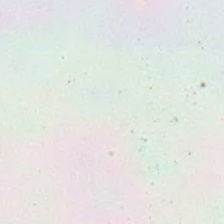H&E-stained tissue section. Content = background.
